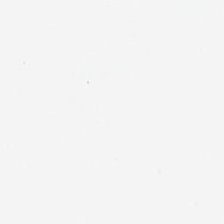0.5 µm/px · H&E.
Content — background (no tissue).
